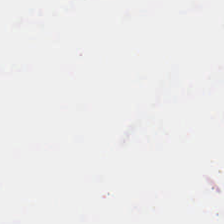Hematoxylin and eosin.
Q: What is shown here?
A: The field shows background.
